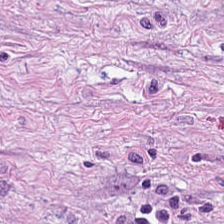H&E stain.
Showing tumor stroma.
